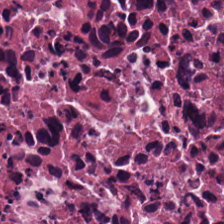H&E stain — This field is necrotic debris.
